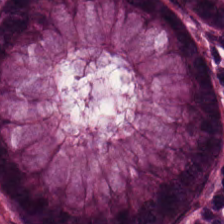Hematoxylin and eosin; formalin-fixed paraffin-embedded section. Showing benign colonic mucosa.
